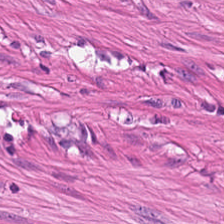H&E stain · brightfield — {"tissue_type": "smooth muscle"}
